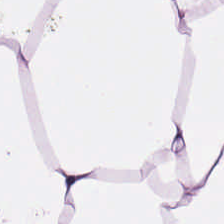H&E stain · 224×224 px tile. Q: Identify the tissue.
A: It is fat tissue.
